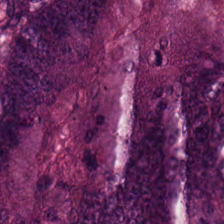Hematoxylin and eosin.
Tissue class — adenocarcinoma.
